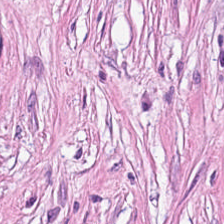Whole-slide-image patch · hematoxylin and eosin — Q: What type of tissue is this?
A: It is tumor stroma.
